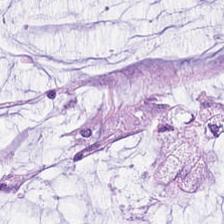Classification — extracellular mucin.
